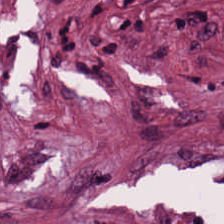Finding — tumor stroma.
